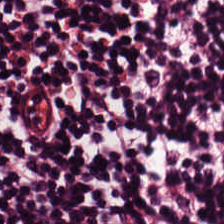H&E.
Showing lymphocyte aggregate.
